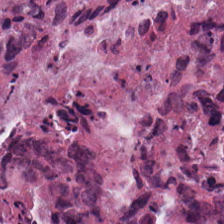Finding — cellular debris.
